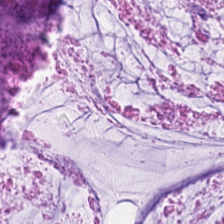Stain: H&E.
Tile size: 224×224 px patch.
Tissue class: mucin.
